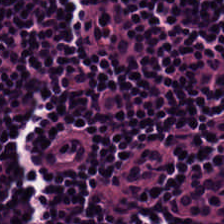Stain: hematoxylin-and-eosin stained section.
Tissue class: lymphocytic infiltrate.
